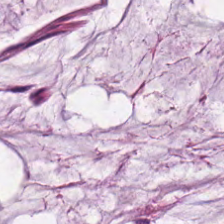224×224 px tile · hematoxylin and eosin. Predominant tissue — mucin.
